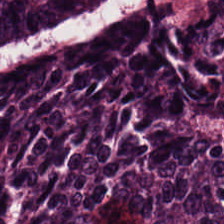Hematoxylin and eosin — The tissue type is tumor epithelium.
